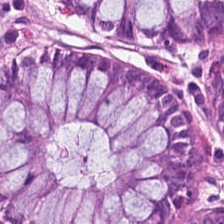H&E stain. Tissue type: normal colonic mucosa.
